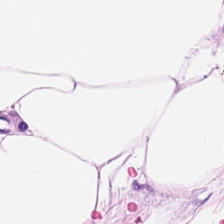Stain: hematoxylin-and-eosin stained section.
Tissue class: adipose tissue.
